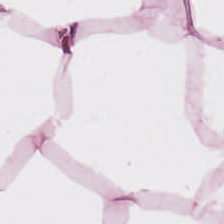Brightfield microscopy · H&E-stained tissue section · formalin-fixed paraffin-embedded section. The predominant tissue is adipose.
